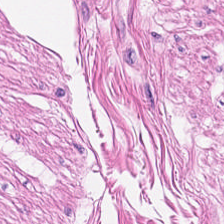Hematoxylin-and-eosin section: smooth-muscle tissue.
